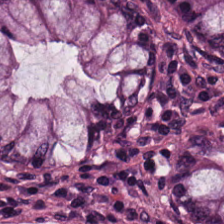H&E-stained section; the field shows normal colon mucosa.
